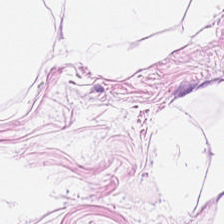H&E-stained tissue section.
The tissue here is adipose.
